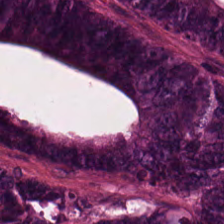FFPE tissue section. H&E-stained tissue section.
Q: What is the predominant tissue type?
A: Tumor epithelium.
